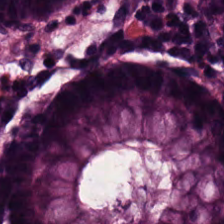Hematoxylin and eosin; WSI patch.
{"tissue_type": "non-neoplastic colon mucosa"}
